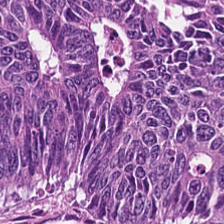Hematoxylin-and-eosin stained section; WSI patch; 0.5 microns per pixel — {"tissue_type": "malignant epithelium"}
